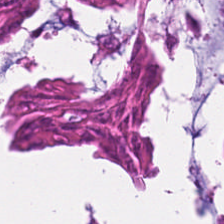Whole-slide-image patch; 0.5 µm/px; hematoxylin and eosin — Showing tumor epithelium.
